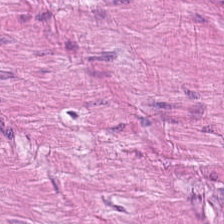H&E stain. Impression → smooth muscle.
